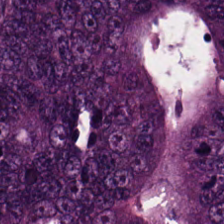Hematoxylin-and-eosin stained section.
Tissue type: colorectal adenocarcinoma.
